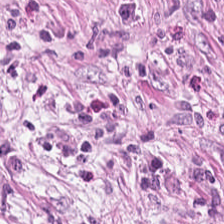H&E-stained tissue section; 224×224 pixel tile — Tissue class = desmoplastic stroma.
